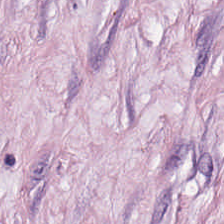224×224 pixel tile · 0.5 µm per pixel · hematoxylin-and-eosin stained section.
{"tissue_type": "desmoplastic stroma"}
